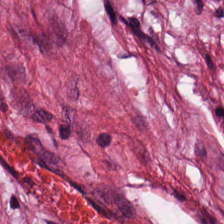Stain: hematoxylin and eosin.
Resolution: 0.5 µm per pixel.
Predominant tissue: tumor stroma.
